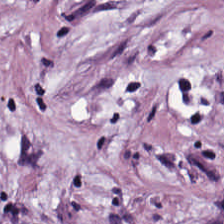Classification — cancer-associated stroma.
